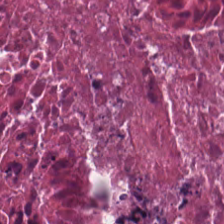Necrotic debris.
